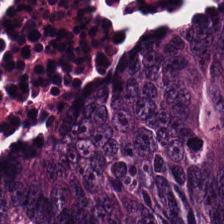Hematoxylin-and-eosin stained section. The tissue here is tumor epithelium.
